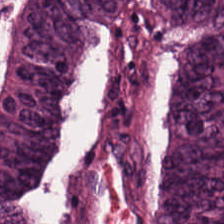Hematoxylin-and-eosin stained section. {"tissue_type": "tumor epithelium"}
